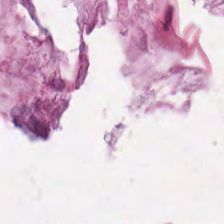Hematoxylin-and-eosin stained section · brightfield.
Finding → mucin.
